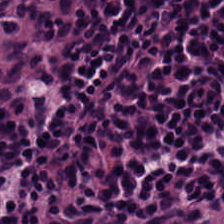Hematoxylin-and-eosin stained section. Tissue type = lymphocytes.
